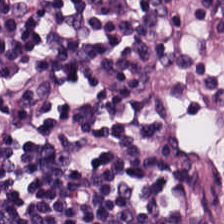FFPE · H&E stain.
The classification is lymphocytic infiltrate.
